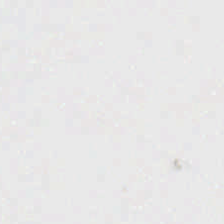H&E stain. No tissue present; background only.
